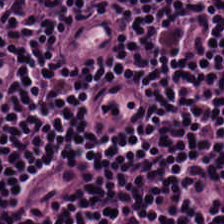H&E.
Q: What does this patch show?
A: The field shows lymphocytic infiltrate.
